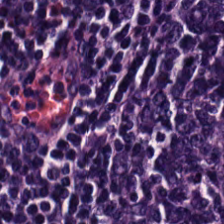FFPE. Hematoxylin-and-eosin stained section. The predominant tissue is lymphoid infiltrate.
